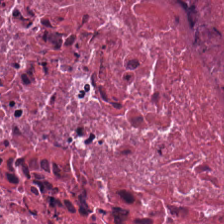Debris.
